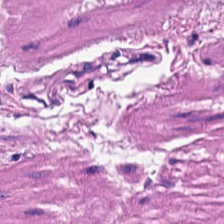Stain: H&E.
Predominant tissue: smooth-muscle tissue.
